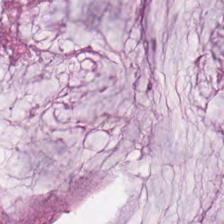Q: Identify the tissue.
A: Mucin.
